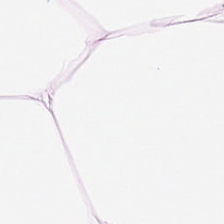Stain: H&E.
Classification: adipose.
